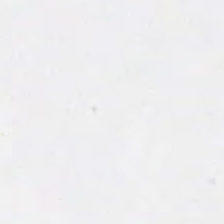Stain: hematoxylin-and-eosin stained section.
Acquisition: whole-slide-image patch.
Field content: no tissue.
